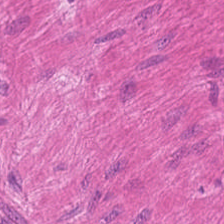Tissue class = smooth-muscle tissue.
